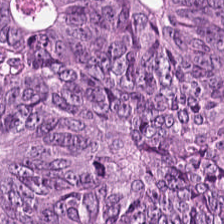Brightfield. H&E-stained tissue section. 224×224 pixel tile.
Q: Classify this patch.
A: This is tumor epithelium.
